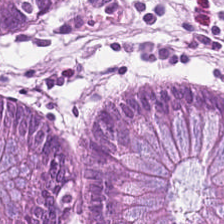Stain: hematoxylin and eosin.
Tissue: normal colonic mucosa.
